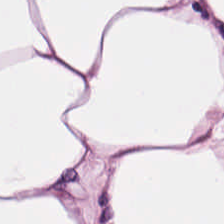H&E stain — Q: What is shown here?
A: It is fat tissue.
